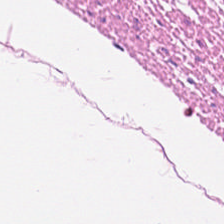H&E; FFPE; 0.5 µm/px — This field is smooth-muscle tissue.
